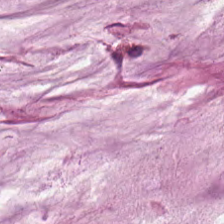Hematoxylin-and-eosin stained section — Q: Classify this patch.
A: The field shows mucus.
